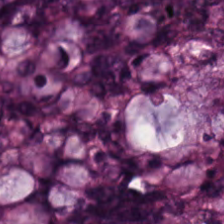Stain: H&E-stained tissue section.
Acquisition: brightfield.
Tissue type: malignant epithelium.
